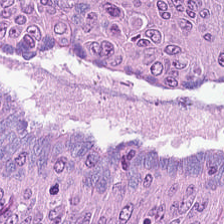Classification — malignant epithelium.
